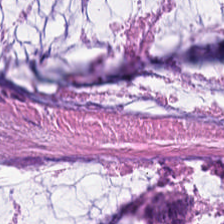H&E stain. 224×224 px patch. 0.5 µm per pixel.
Tissue = mucus.
